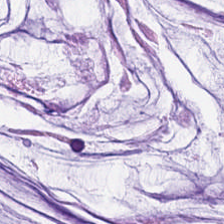Tissue — mucus.
